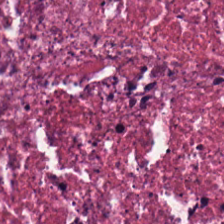Hematoxylin and eosin. Impression — debris.
